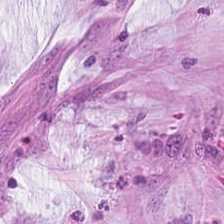224×224 px patch. Hematoxylin-and-eosin stained section.
This field is extracellular mucin.
